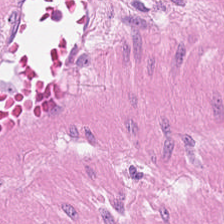Hematoxylin-and-eosin stained section — Q: What is shown here?
A: It is smooth muscle.
